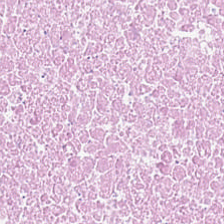H&E stain. Predominantly cellular debris.
